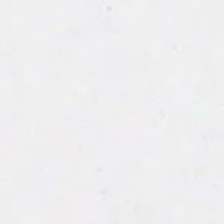Classification: background.
